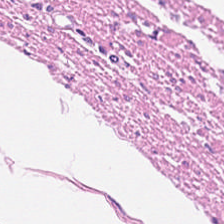H&E-stained tissue section. This field is muscularis.
